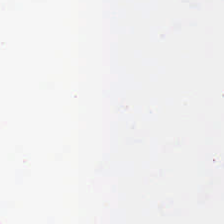Classification = background.
